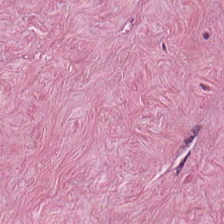Hematoxylin and eosin — Showing tumor stroma.
